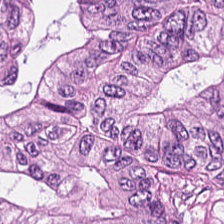Predominant tissue = colorectal adenocarcinoma epithelium.
